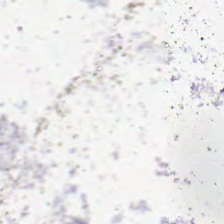Content — background (no tissue).
